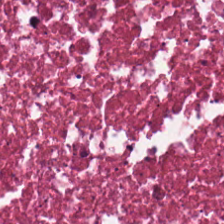Stain: H&E stain.
Classification: necrotic debris.
